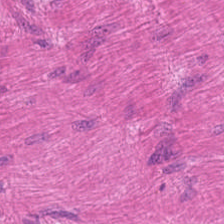This field is smooth-muscle tissue.
